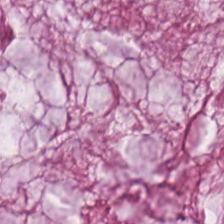Hematoxylin and eosin. The classification is extracellular mucin.
